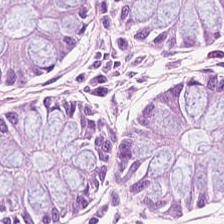20× equivalent magnification · hematoxylin-and-eosin stained section. This field is non-neoplastic colon mucosa.
